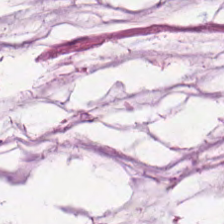Stain: hematoxylin-and-eosin stained section.
Tissue type: mucin.
